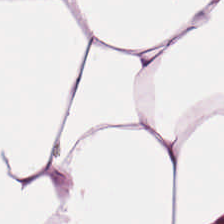WSI patch; hematoxylin and eosin; 20× equivalent magnification. Impression → adipose.
